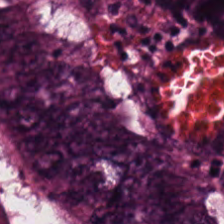Hematoxylin-and-eosin stained section. Predominantly adenocarcinoma.
